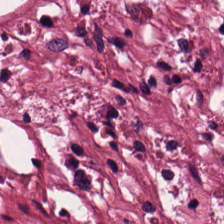H&E. Tumor stroma.
